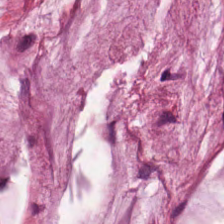H&E — Mucin.
